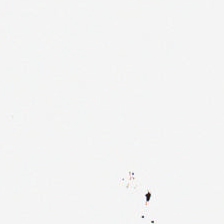Hematoxylin-and-eosin stained section. This field is background (no tissue).
